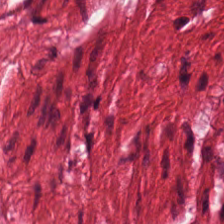Stain: H&E stain.
Resolution: 0.5 µm per pixel.
Predominant tissue: smooth-muscle tissue.
